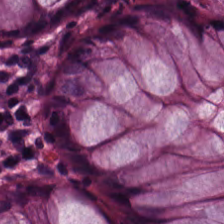H&E — Q: What is shown in this field?
A: This is normal colonic mucosa.
